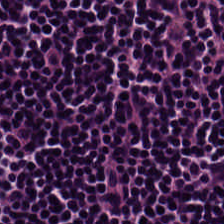Hematoxylin and eosin — Q: What type of tissue is this?
A: Lymphocyte aggregate.
